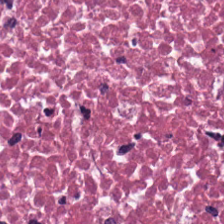Impression → debris.
